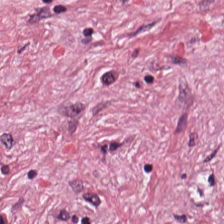Predominantly tumor-associated stroma.
